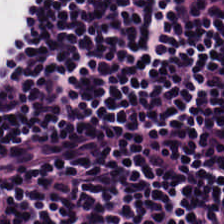Stain: H&E.
Resolution: 0.5 microns per pixel.
Acquisition: whole-slide-image patch.
Tissue class: lymphocytic infiltrate.
